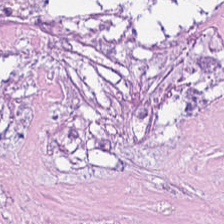H&E stain. This field is necrotic debris.
